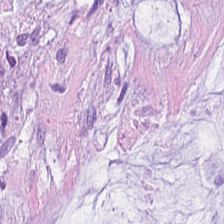Hematoxylin and eosin — Impression — mucus.
